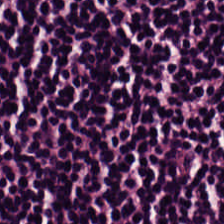Stain: hematoxylin-and-eosin stained section.
Predominant tissue: lymphocytic infiltrate.
